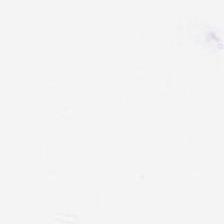Stain: hematoxylin and eosin.
Preparation: formalin-fixed paraffin-embedded section.
Classification: no tissue.
